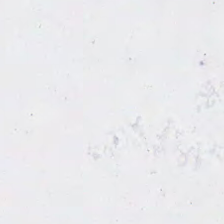Hematoxylin and eosin — Impression — empty background.
